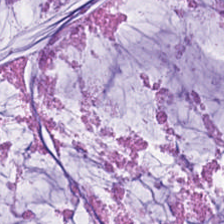Hematoxylin-and-eosin stained section — Mucin.
